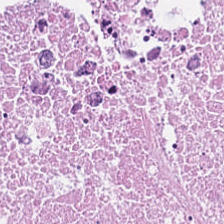H&E · 224×224 px tile. Classification = necrotic debris.
